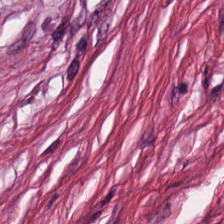Brightfield. H&E-stained tissue section. Classification = desmoplastic stroma.
